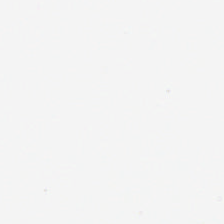Empty field — empty background.
